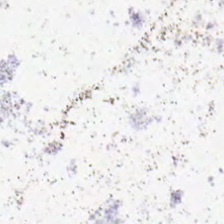Hematoxylin-and-eosin stained section — Background (no tissue).
